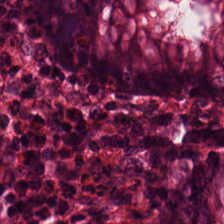H&E stain · FFPE tissue section. This patch shows normal colonic mucosa.
